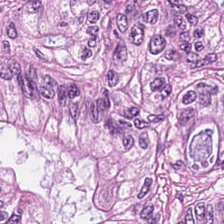Adenocarcinoma.
